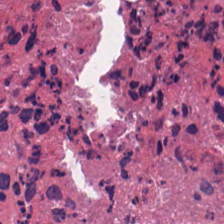Whole-slide-image patch; hematoxylin-and-eosin stained section.
Q: What is shown here?
A: It is necrotic debris.
